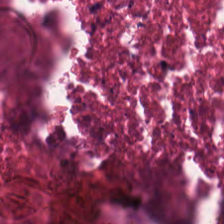H&E. The predominant tissue is cellular debris.
